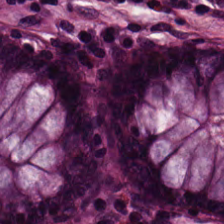Predominantly normal colonic mucosa.
